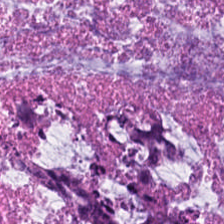Stain: hematoxylin-and-eosin stained section.
Predominant tissue: extracellular mucin.
